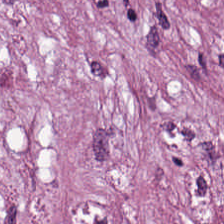H&E.
The tissue type is cancer-associated stroma.
